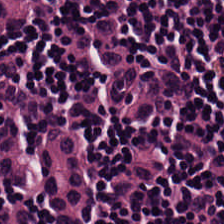Showing lymphocyte aggregate.
